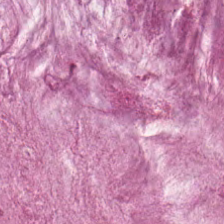Whole-slide-image patch · hematoxylin and eosin — Tissue type = mucus.
